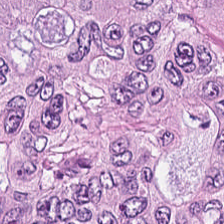H&E-stained tissue section — The tissue type is colorectal adenocarcinoma.
